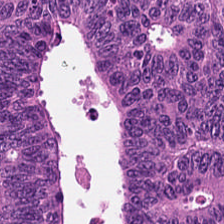Tissue: tumor epithelium.
